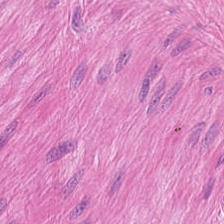H&E.
This patch shows smooth-muscle tissue.
